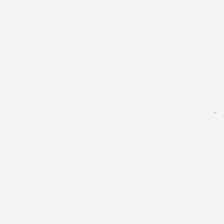H&E. FFPE tissue section. Q: What is shown in this field?
A: It is background.
